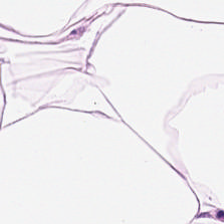Hematoxylin-and-eosin stained section.
Q: What is shown in this field?
A: It is adipose tissue.
